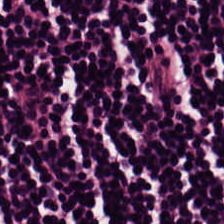Hematoxylin-and-eosin stained section · 224×224 pixel tile — Finding → lymphoid infiltrate.
